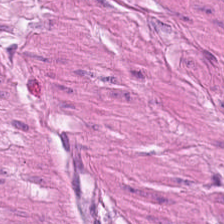Predominantly smooth-muscle tissue.
